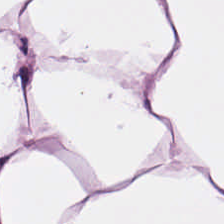H&E.
Predominant tissue — adipose.
